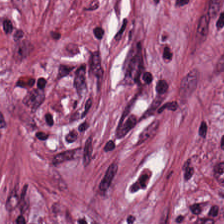H&E — Finding → cancer-associated stroma.
